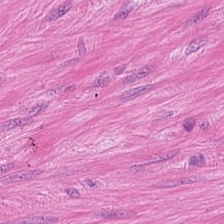The tissue is muscularis.
